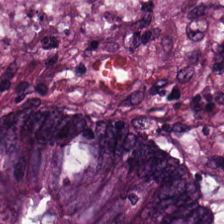H&E. Adenocarcinoma.
